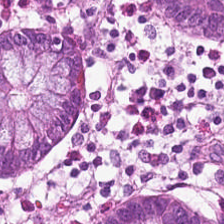FFPE; H&E. The predominant tissue is normal colon mucosa.
